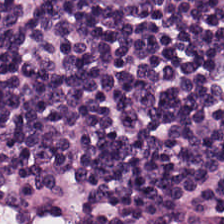Stain: H&E-stained tissue section.
Tissue type: lymphocytes.
